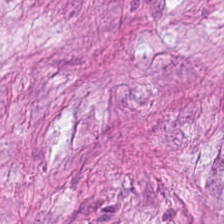224×224 px patch · WSI patch · hematoxylin-and-eosin stained section — The tissue here is tumor-associated stroma.
